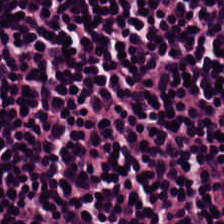Hematoxylin-and-eosin stained section — Q: What type of tissue is this?
A: It is lymphocyte aggregate.
